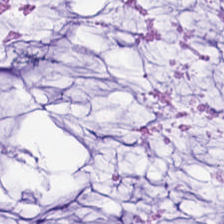Stain: H&E stain.
Acquisition: whole-slide-image patch.
Tissue type: mucin.
